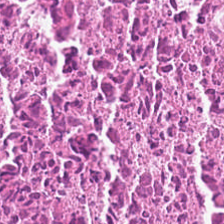H&E patch showing debris.
